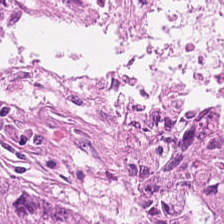H&E stain. 224×224 px tile.
Tissue type = malignant epithelium.
